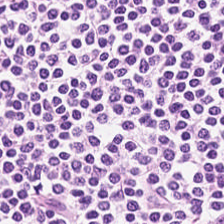Hematoxylin-and-eosin stained section — Predominantly lymphocytic infiltrate.
